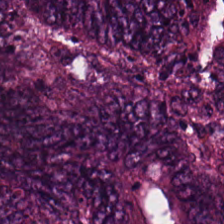Stain: H&E stain.
Acquisition: brightfield.
Predominant tissue: adenocarcinoma.
